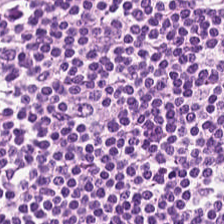Stain: H&E.
Classification: lymphocytes.
